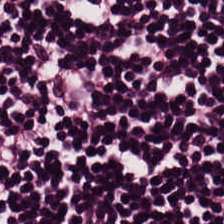Tissue — lymphocytic infiltrate.
